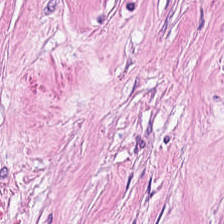Stain: hematoxylin-and-eosin stained section.
Predominant tissue: cancer-associated stroma.
